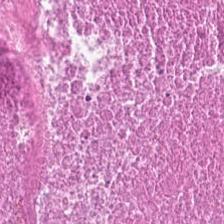Brightfield. Hematoxylin and eosin. This field is necrotic debris.
